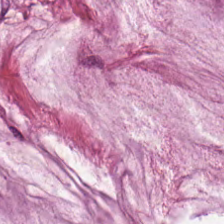FFPE tissue section · H&E stain · 0.5 microns per pixel.
The tissue here is extracellular mucin.
